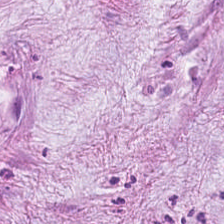H&E stain — Q: What tissue is shown?
A: This is extracellular mucin.
